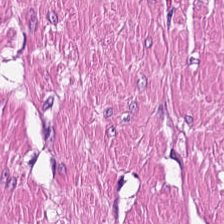FFPE tissue section. Hematoxylin-and-eosin stained section.
Q: What type of tissue is this?
A: The field shows smooth-muscle tissue.
